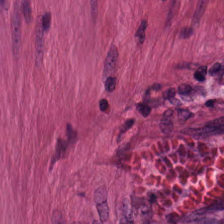H&E stain; whole-slide-image patch.
Finding → smooth-muscle tissue.
